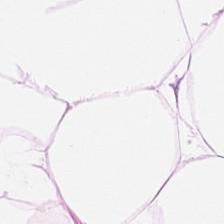H&E stain. Formalin-fixed paraffin-embedded section.
Showing fat tissue.
